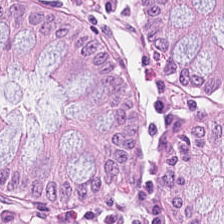Stain: hematoxylin-and-eosin stained section.
Resolution: 20× equivalent magnification.
Tissue class: normal colon mucosa.
